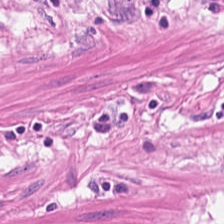Impression → smooth muscle.
